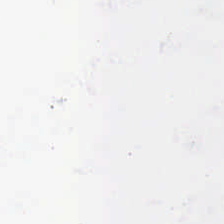H&E-stained tissue section. {"content": "empty background"}
